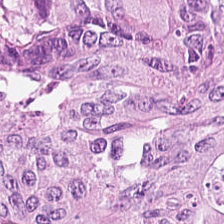H&E stain.
The predominant tissue is malignant epithelium.
